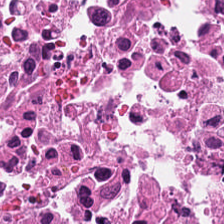H&E.
Tissue: debris.
